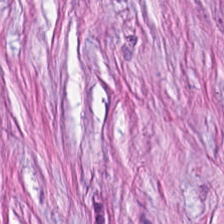H&E — The tissue type is cancer-associated stroma.
